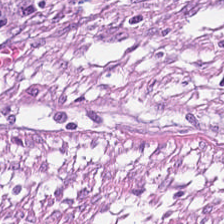0.5 microns per pixel. H&E stain — Predominantly desmoplastic stroma.
